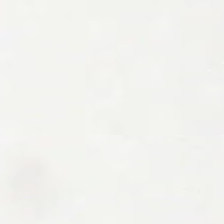Finding → background.
